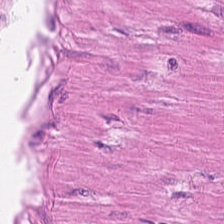H&E. 0.5 µm/px.
Histology — muscularis.
